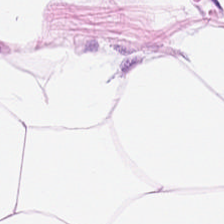Q: What is shown in this field?
A: Adipose tissue.
